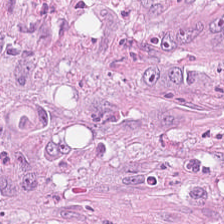H&E — Tissue type: colorectal adenocarcinoma.
